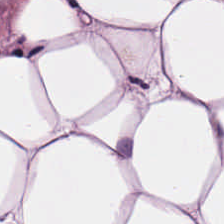Stain: hematoxylin-and-eosin stained section.
Resolution: 0.5 microns per pixel.
Acquisition: brightfield microscopy.
Tissue: fat tissue.
